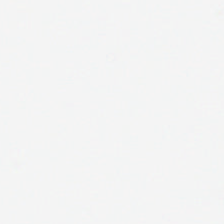Hematoxylin and eosin.
Histology → background.
